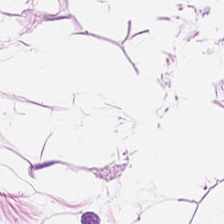H&E stain. Showing adipocytes.
